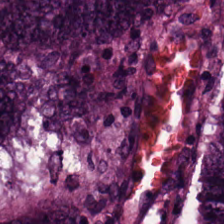Whole-slide-image patch; H&E stain.
The predominant tissue is tumor epithelium.
